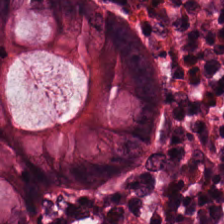224×224 px patch; H&E — Predominant tissue: benign colonic mucosa.
